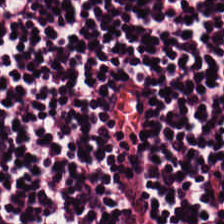Stain: hematoxylin-and-eosin stained section.
Tissue class: lymphoid infiltrate.
